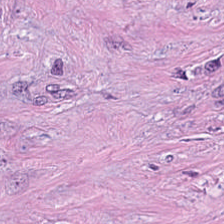0.5 µm/px; H&E stain; 224×224 pixel tile. Tissue type = desmoplastic stroma.
